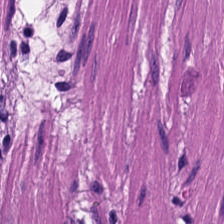224×224 px patch. H&E-stained tissue section — This patch shows muscularis.
